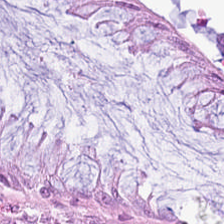Q: What does this patch show?
A: It is normal colon mucosa.
